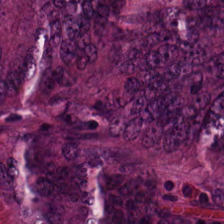Stain: hematoxylin and eosin.
Classification: adenocarcinoma.
